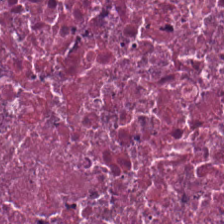20× equivalent magnification. Hematoxylin-and-eosin stained section. 224×224 pixel tile. Q: What type of tissue is this?
A: It is necrotic debris.
